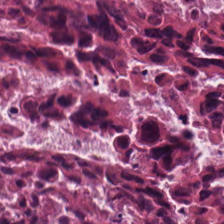Stain: H&E.
Tissue: cellular debris.
